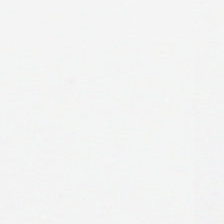Brightfield microscopy. H&E. Q: What is shown in this field?
A: This is background.
